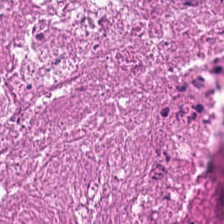FFPE · H&E stain.
This field is cellular debris.
